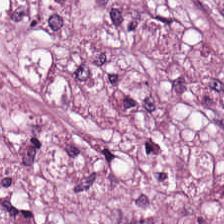H&E-stained tissue section. Impression — tumor stroma.
